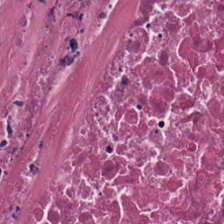Predominantly cellular debris.
